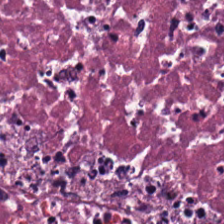224×224 pixel tile · hematoxylin-and-eosin stained section.
This patch shows cellular debris.
